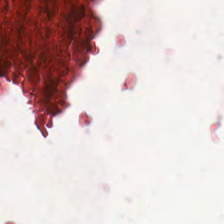H&E stain. Classification — necrotic debris.
